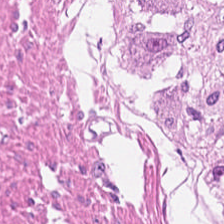H&E stain · brightfield microscopy.
Q: What does this patch show?
A: The field shows smooth-muscle tissue.
